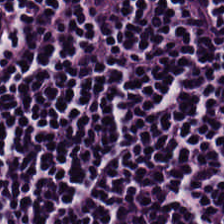FFPE tissue section. Hematoxylin and eosin. Lymphocytic infiltrate.
